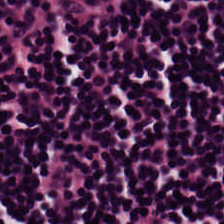Stain: hematoxylin-and-eosin stained section.
Classification: lymphocytic infiltrate.
